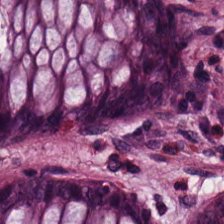H&E-stained tissue section.
Tissue class — benign colonic mucosa.
